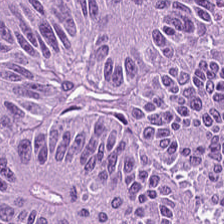Hematoxylin-and-eosin stained section — The predominant tissue is colorectal adenocarcinoma epithelium.
